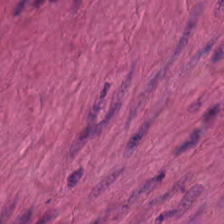{"tissue_type": "muscularis"}
